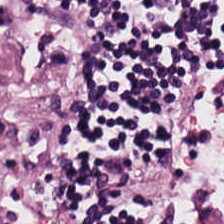H&E. FFPE — The tissue type is lymphocytes.
